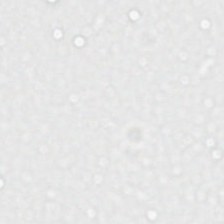Histology — no tissue.
